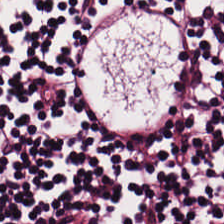224×224 pixel tile; H&E.
Showing lymphocytes.
